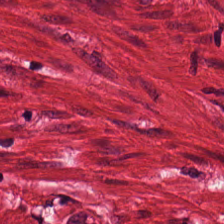Impression → smooth-muscle tissue.
